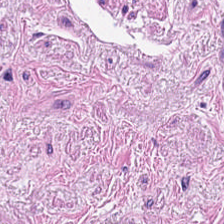20× equivalent magnification · H&E — Showing smooth muscle.
